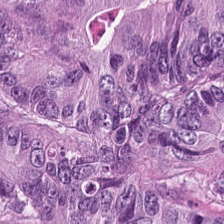H&E. Classification — malignant epithelium.
